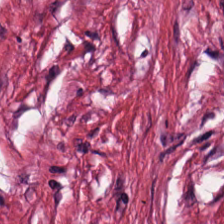Hematoxylin-and-eosin stained section — The predominant tissue is desmoplastic stroma.
